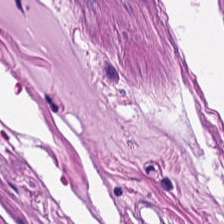H&E stain — Tissue class: muscularis.
